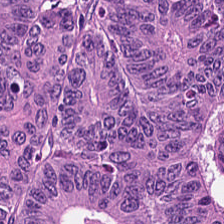H&E-stained tissue section showing tumor epithelium.
